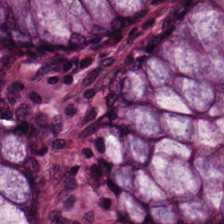H&E-stained tissue section. The tissue class is non-neoplastic colon mucosa.
